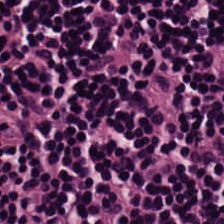H&E-stained tissue section; 224×224 pixel tile — Histology — lymphocyte aggregate.
